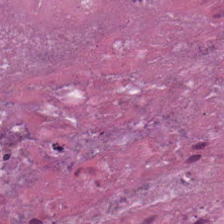Brightfield microscopy. Hematoxylin-and-eosin stained section.
Classification: necrotic debris.
